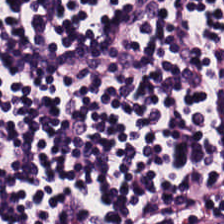Hematoxylin-and-eosin stained section — The predominant tissue is lymphocyte aggregate.
